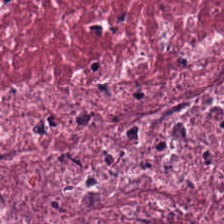H&E. Tissue class — tumor-associated stroma.
